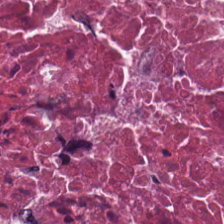H&E.
The predominant tissue is cellular debris.
